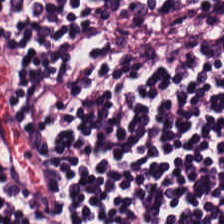Whole-slide-image patch · H&E.
The tissue type is lymphocytic infiltrate.
